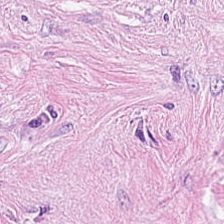Stain: H&E-stained tissue section.
Predominant tissue: tumor-associated stroma.
